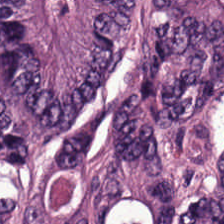Tissue: colorectal adenocarcinoma.
